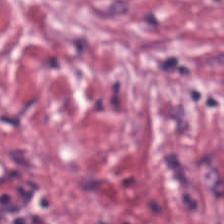H&E stain; 224×224 px tile. The tissue here is tumor stroma.
